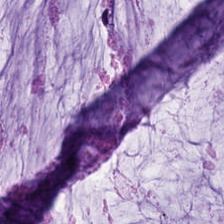20× equivalent magnification · hematoxylin and eosin — Predominant tissue — mucin.
